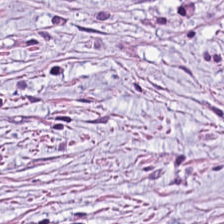Stain: H&E stain.
Tissue: tumor stroma.
